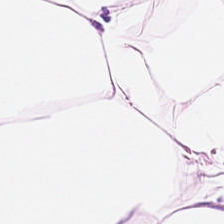Hematoxylin and eosin. The tissue here is adipocytes.
